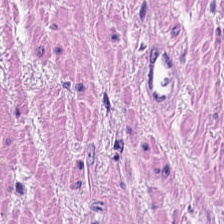Tissue class: smooth-muscle tissue.
